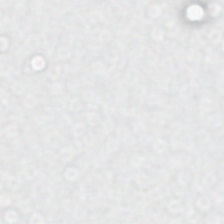H&E stain.
This patch shows background.
